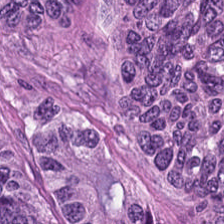224×224 pixel tile. Hematoxylin-and-eosin stained section. 20× equivalent magnification. Tissue class — tumor epithelium.
